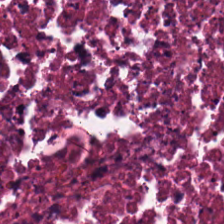0.5 µm/px; brightfield; hematoxylin and eosin — The tissue here is cellular debris.
